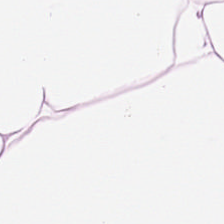Hematoxylin-and-eosin stained section.
Q: Classify this patch.
A: It is fat tissue.
